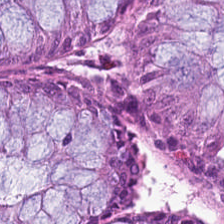Finding — normal colon mucosa.
